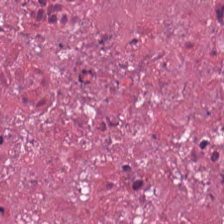Hematoxylin and eosin.
Predominantly debris.
